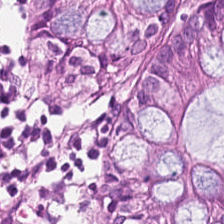H&E stain — Normal colon mucosa.
